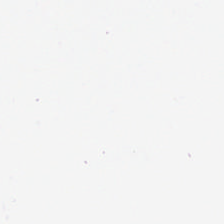Impression — no tissue.
